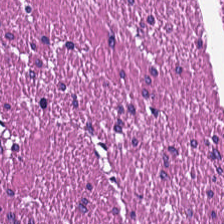Stain: hematoxylin and eosin.
Classification: muscularis.
